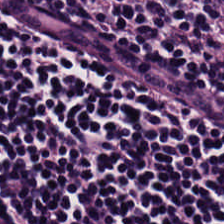The predominant tissue is lymphocytes.
